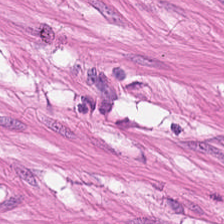Stain: H&E stain.
Acquisition: brightfield microscopy.
Classification: muscularis.
